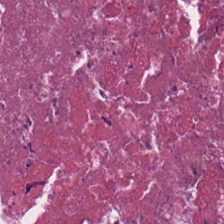Showing necrotic debris.
